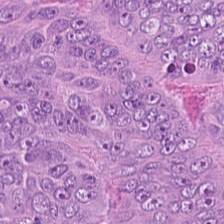H&E-stained tissue section — Q: What tissue is shown?
A: The field shows adenocarcinoma.
